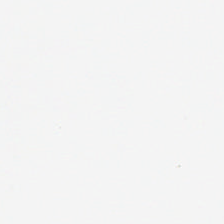224×224 pixel tile; hematoxylin-and-eosin stained section; whole-slide-image patch — The classification is no tissue.
